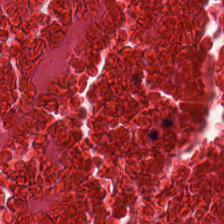Predominantly necrotic debris.
